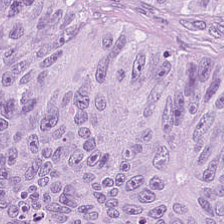Classification: adenocarcinoma.
